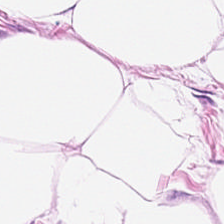The tissue type is fat tissue.
